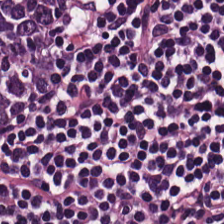FFPE; H&E-stained tissue section; 20× equivalent magnification — The predominant tissue is lymphoid infiltrate.
